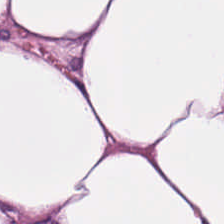Brightfield · H&E.
This patch shows fat tissue.
